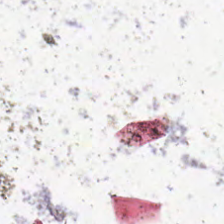Hematoxylin and eosin. Background (no tissue).
